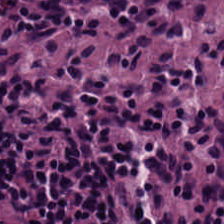Tissue class: lymphoid infiltrate.
